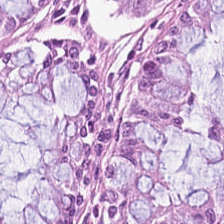{"tissue_type": "non-neoplastic colon mucosa"}
